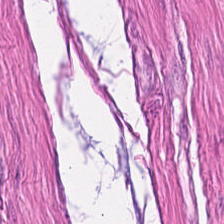Hematoxylin and eosin. The tissue is muscularis.
